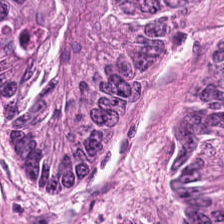224×224 px tile · H&E stain — Predominant tissue = malignant epithelium.
